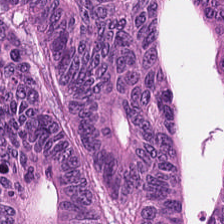The predominant tissue is colorectal adenocarcinoma.
